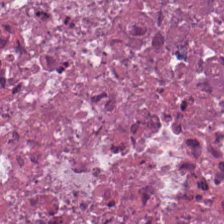H&E-stained tissue section — Histology — debris.
